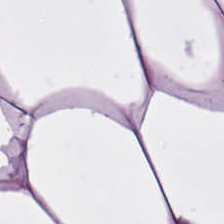224×224 px patch; hematoxylin-and-eosin stained section; brightfield microscopy — This patch shows adipose.
